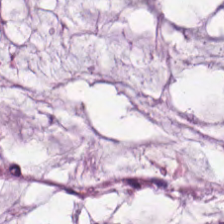H&E-stained tissue section. 0.5 µm/px.
Tissue class — mucin.
